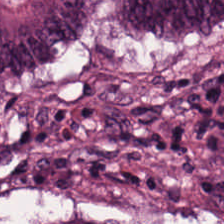H&E. 224×224 px tile — The classification is colorectal adenocarcinoma.
